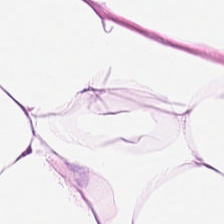Hematoxylin and eosin. Whole-slide-image patch. 224×224 px tile. Impression → adipocytes.
